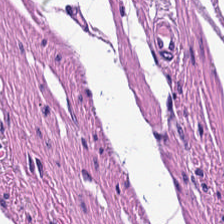WSI patch · H&E — Q: What is the predominant tissue type?
A: The field shows smooth-muscle tissue.
